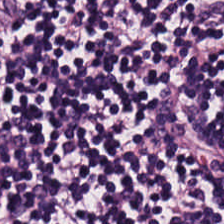H&E stain. Showing lymphocytic infiltrate.
